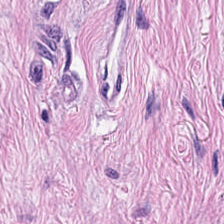H&E — This field is cancer-associated stroma.
